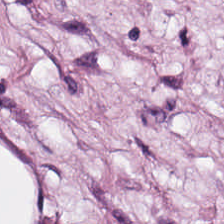H&E. Tissue — adipose tissue.
